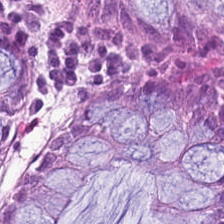H&E-stained tissue section showing non-neoplastic colon mucosa.
